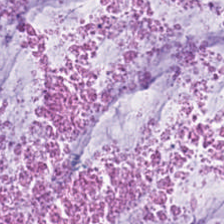{"tissue_type": "mucin"}
